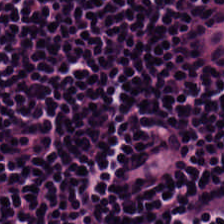0.5 microns per pixel. Hematoxylin-and-eosin stained section. Histology — lymphoid infiltrate.
